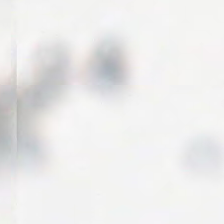Impression → no tissue.
